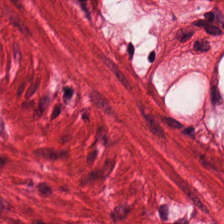20× equivalent magnification · hematoxylin and eosin · whole-slide-image patch.
The tissue is muscularis.
